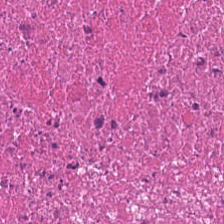Brightfield microscopy. H&E. Tissue class: cellular debris.
